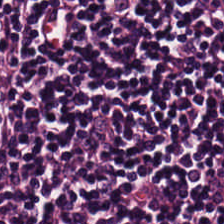H&E-stained tissue section. 20× equivalent magnification — Showing lymphocyte aggregate.
